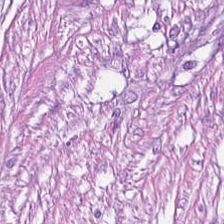Brightfield; 0.5 microns per pixel; H&E stain. This field is cancer-associated stroma.
